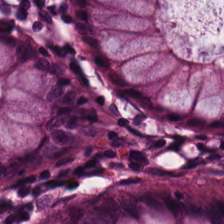Hematoxylin and eosin — The tissue here is non-neoplastic colon mucosa.
